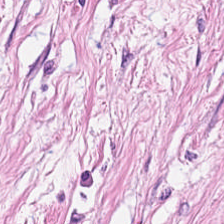H&E-stained tissue section · FFPE. This field is desmoplastic stroma.
